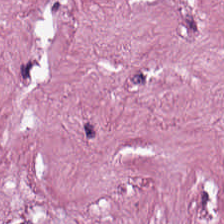Hematoxylin-and-eosin section: desmoplastic stroma.
